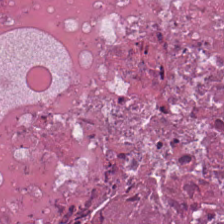The predominant tissue is cellular debris.
